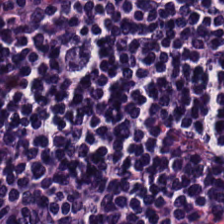Predominant tissue = lymphocyte aggregate.
